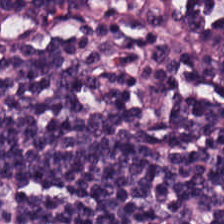Impression → lymphoid infiltrate.
